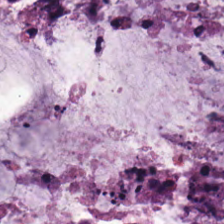Hematoxylin and eosin.
This field is mucin.
